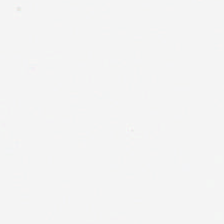Empty field — empty background.
